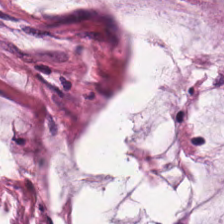20× equivalent magnification · hematoxylin-and-eosin stained section — Q: What is shown here?
A: It is extracellular mucin.
